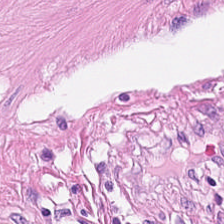H&E-stained tissue section — Finding — smooth muscle.
